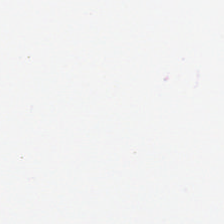Stain: H&E.
Classification: empty background.
